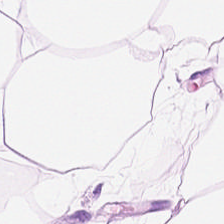224×224 pixel tile. Brightfield microscopy. H&E-stained tissue section — Showing adipose.
